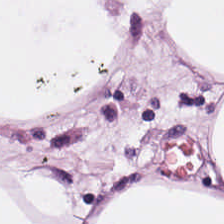Brightfield; 0.5 microns per pixel; hematoxylin-and-eosin stained section — Classification — adipose.
